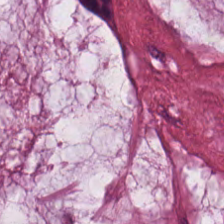Tissue class = extracellular mucin.
